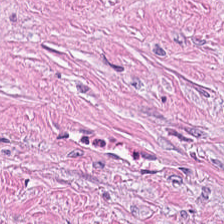Stain: hematoxylin-and-eosin stained section.
Resolution: 0.5 microns per pixel.
Tissue class: desmoplastic stroma.
